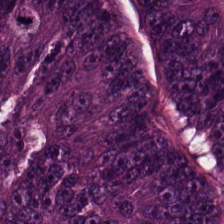Tissue type — malignant epithelium.
